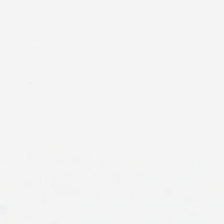Background (no tissue).
